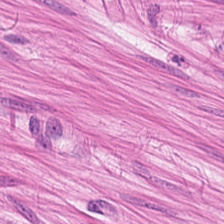The tissue class is muscularis.
